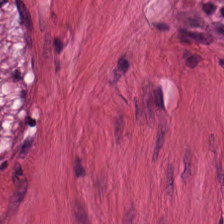H&E stain — Predominantly muscularis.
